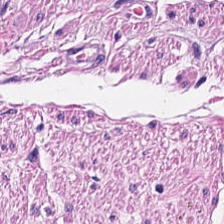Hematoxylin-and-eosin stained section — Tissue type — smooth-muscle tissue.
